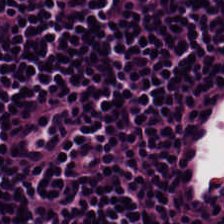FFPE tissue section; H&E; 224×224 pixel tile.
Q: Classify this patch.
A: The field shows lymphoid infiltrate.
